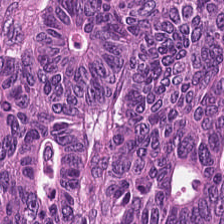224×224 pixel tile. Hematoxylin and eosin. 0.5 microns per pixel — Q: Identify the tissue.
A: This is colorectal adenocarcinoma.
